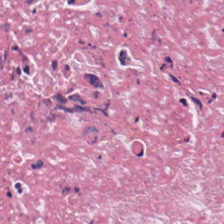20× equivalent magnification. H&E stain — This patch shows debris.
